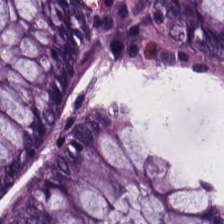0.5 microns per pixel · H&E stain. Histology — normal colonic mucosa.
